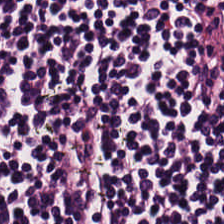Q: Identify the tissue.
A: This is lymphocyte aggregate.
